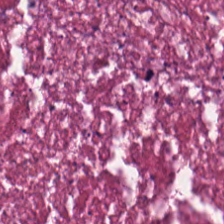H&E. Tissue type = debris.
